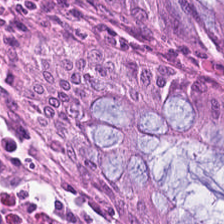The tissue here is normal colon mucosa.
